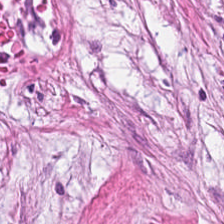Hematoxylin and eosin.
{"tissue_type": "desmoplastic stroma"}
